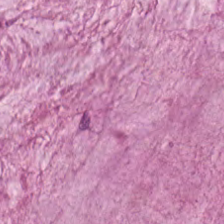Finding — mucin.
